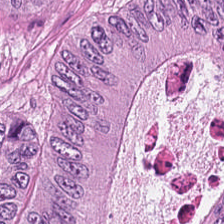Hematoxylin and eosin · 224×224 pixel tile · 0.5 µm/px. {"tissue_type": "colorectal adenocarcinoma"}
